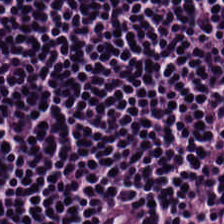FFPE tissue section · hematoxylin-and-eosin stained section. Q: What type of tissue is this?
A: The field shows lymphocytic infiltrate.
